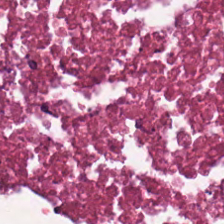Tissue type = debris.
